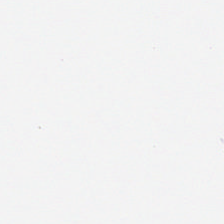Field content = background.
